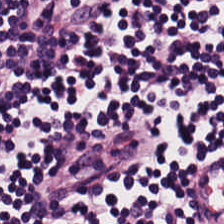Hematoxylin-and-eosin stained section · 0.5 microns per pixel.
Tissue class: lymphocytes.
